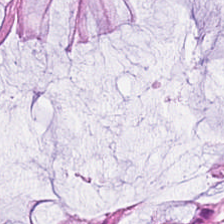The tissue here is normal colon mucosa.
